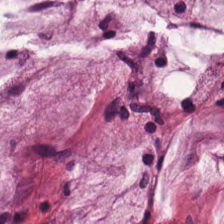H&E. Mucus.
